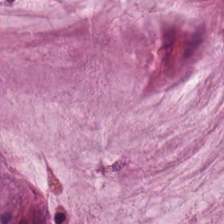H&E.
Impression → mucus.
